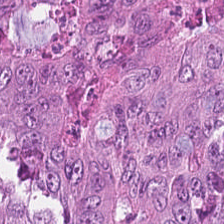Predominant tissue: colorectal adenocarcinoma.
